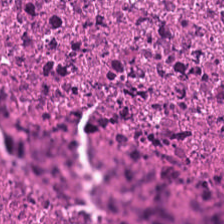H&E stain — The tissue here is debris.
